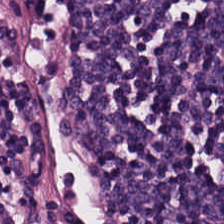H&E-stained tissue section; formalin-fixed paraffin-embedded section; 0.5 µm/px. This field is lymphocytic infiltrate.
